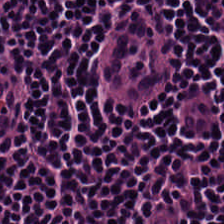Formalin-fixed paraffin-embedded section; 20× equivalent magnification; hematoxylin and eosin.
Tissue: lymphocytic infiltrate.
